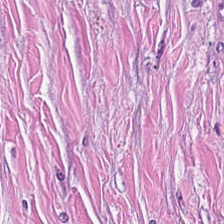H&E stain. Predominant tissue: desmoplastic stroma.
